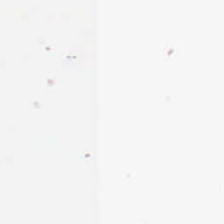Q: Classify this patch.
A: It is background.
